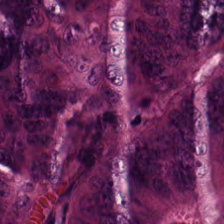H&E; FFPE. Histology → colorectal adenocarcinoma epithelium.
